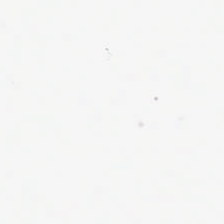Hematoxylin-and-eosin stained section. Classification — empty background.
